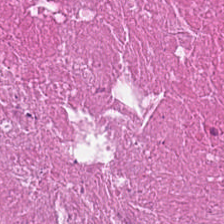The predominant tissue is debris.
